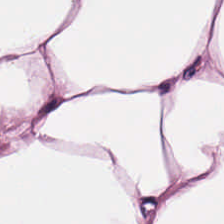Showing adipose.
